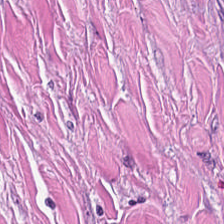Q: What tissue type is shown here?
A: Tumor stroma.
